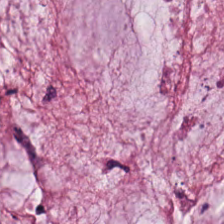Showing extracellular mucin.
